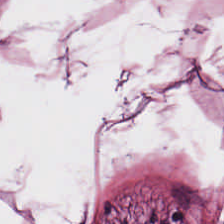Hematoxylin-and-eosin stained section. 20× equivalent magnification. This patch shows fat tissue.
